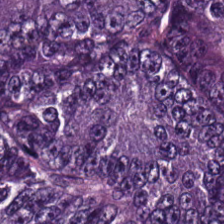H&E-stained tissue section — The classification is malignant epithelium.
